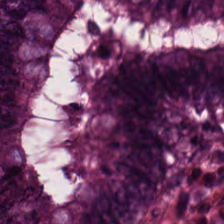H&E-stained tissue section.
Tissue class — non-neoplastic colon mucosa.
